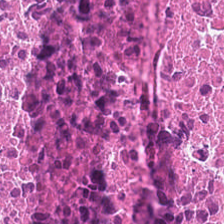The tissue here is debris.
